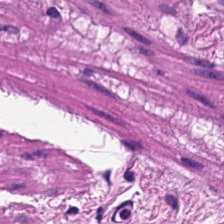H&E stain. FFPE tissue section. 224×224 pixel tile.
{"tissue_type": "smooth-muscle tissue"}
